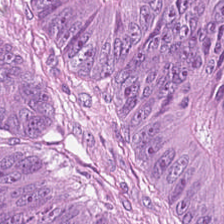Hematoxylin and eosin.
{"tissue_type": "colorectal adenocarcinoma"}
